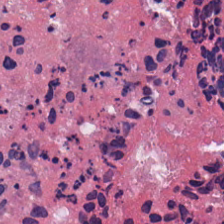Formalin-fixed paraffin-embedded section. 0.5 µm per pixel. Hematoxylin and eosin.
Classification: cellular debris.
